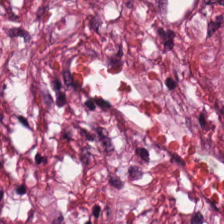Hematoxylin and eosin.
Showing desmoplastic stroma.
